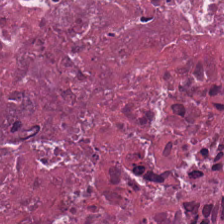Formalin-fixed paraffin-embedded section; 224×224 px tile; H&E-stained tissue section. Q: Classify this patch.
A: Necrotic debris.
